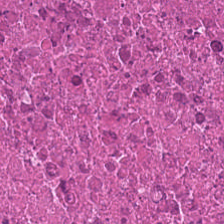224×224 px tile; brightfield; H&E-stained tissue section. Showing debris.
